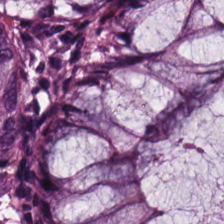H&E stain.
Impression → non-neoplastic colon mucosa.
